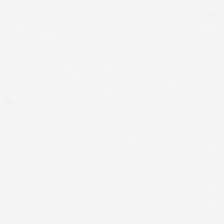224×224 px tile; H&E stain. No tissue present; background only.
